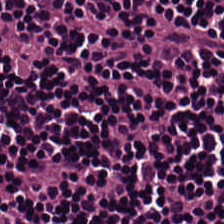H&E-stained tissue section. The tissue here is lymphocyte aggregate.
